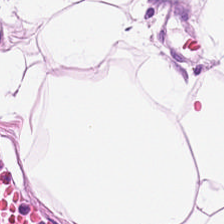H&E — The tissue class is fat tissue.
